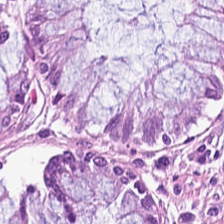Q: What is shown in this field?
A: The field shows normal colon mucosa.
